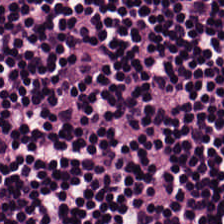Hematoxylin and eosin — Tissue type = lymphoid infiltrate.
